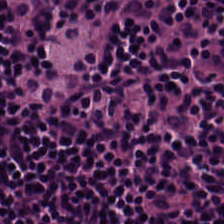H&E patch showing lymphoid infiltrate.
